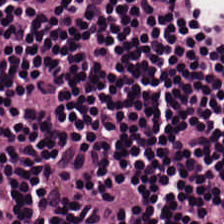FFPE tissue section · 0.5 µm per pixel · H&E stain. Showing lymphocytic infiltrate.
